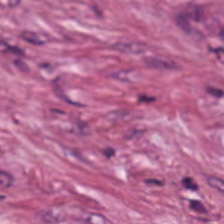H&E.
{"tissue_type": "desmoplastic stroma"}
